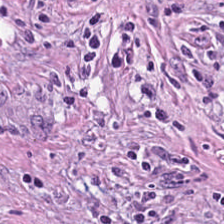H&E stain · FFPE.
{"tissue_type": "tumor stroma"}
